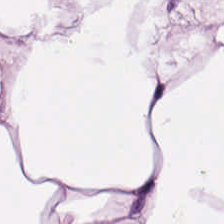0.5 microns per pixel · hematoxylin and eosin.
Tissue = adipose tissue.
